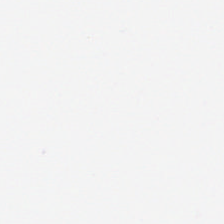H&E-stained tissue section.
This patch shows empty background.
